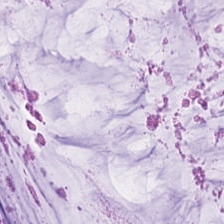H&E-stained tissue section. The tissue class is mucin.
